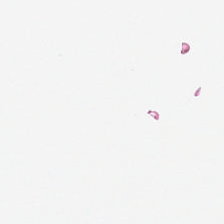Classification — no tissue.
